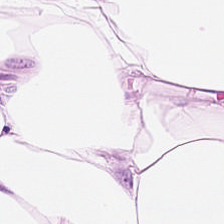Impression — adipocytes.
